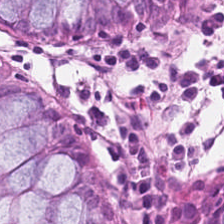Tissue class — non-neoplastic colon mucosa.
